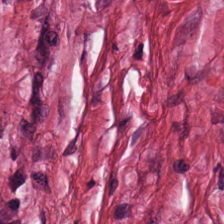0.5 microns per pixel · H&E-stained tissue section — Q: What does this patch show?
A: The field shows cancer-associated stroma.
